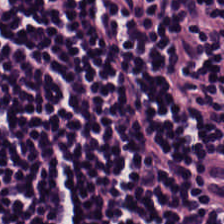224×224 pixel tile. H&E-stained tissue section. Lymphocyte aggregate.
